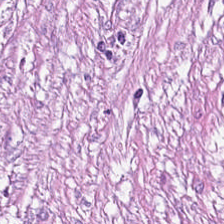Hematoxylin and eosin · 20× equivalent magnification — This patch shows tumor-associated stroma.
